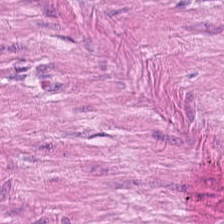Showing muscularis.
